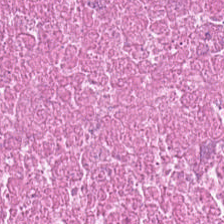The tissue class is necrotic debris.
